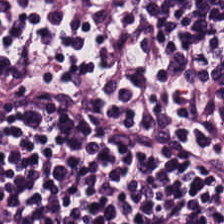224×224 px patch · H&E-stained tissue section. {"tissue_type": "lymphocyte aggregate"}
